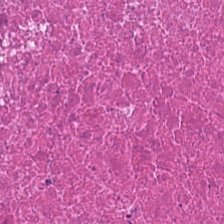Hematoxylin-and-eosin stained section — Predominantly debris.
